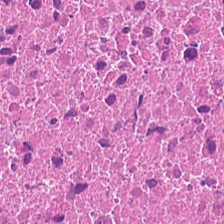H&E patch showing debris.
